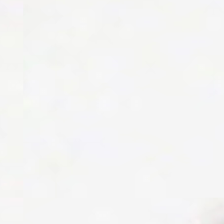Brightfield. Hematoxylin and eosin — Q: What does this patch show?
A: It is background (no tissue).
